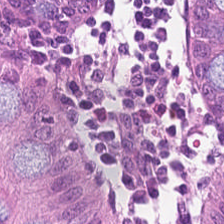H&E stain.
Q: What is shown here?
A: Normal colonic mucosa.
